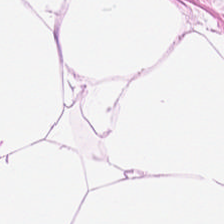H&E. Adipose tissue.
